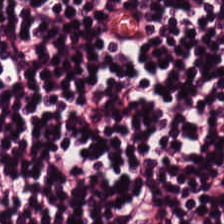WSI patch · hematoxylin and eosin — Q: Identify the tissue.
A: Lymphocytic infiltrate.
